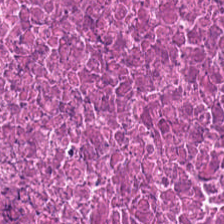Hematoxylin and eosin — Tissue: debris.
